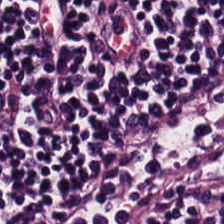Lymphocytic infiltrate.
